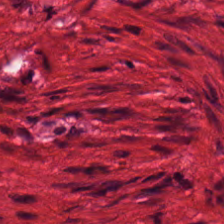FFPE · H&E stain · 0.5 µm/px. This patch shows smooth-muscle tissue.
